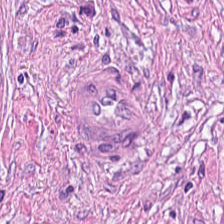Hematoxylin-and-eosin stained section; FFPE. Classification — tumor-associated stroma.
